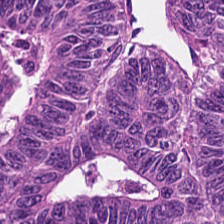Q: What type of tissue is this?
A: The field shows adenocarcinoma.
